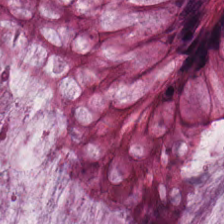FFPE; H&E-stained tissue section; 20× equivalent magnification.
Tissue = normal colonic mucosa.
